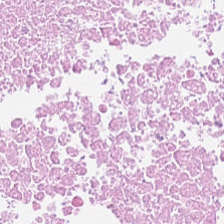H&E stain — Q: What does this patch show?
A: It is debris.
